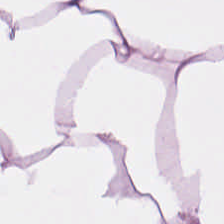H&E stain. This patch shows adipocytes.
